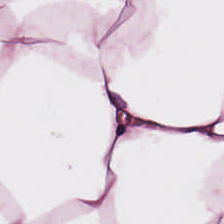H&E stain.
This field is adipose tissue.
